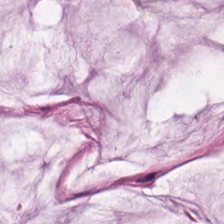H&E-stained tissue section.
Impression → mucus.
